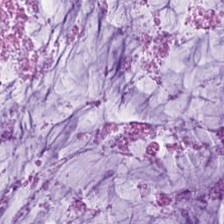H&E stain.
Q: Classify this patch.
A: The field shows mucus.
